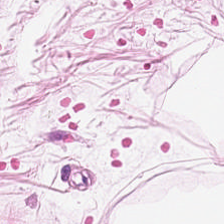Predominant tissue = adipocytes.
